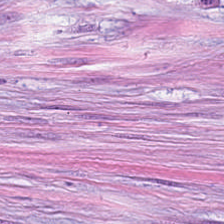Hematoxylin-and-eosin stained section — The predominant tissue is desmoplastic stroma.
